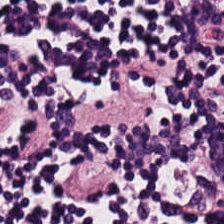H&E. The predominant tissue is lymphocytes.
